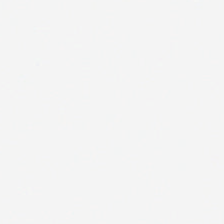Stain: H&E-stained tissue section.
Resolution: 0.5 µm per pixel.
Preparation: FFPE.
Classification: background (no tissue).
